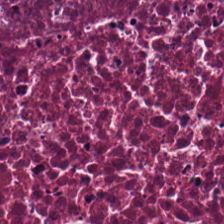Hematoxylin and eosin. Histology — debris.
